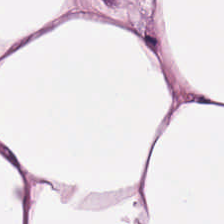Stain: H&E.
Tissue: adipocytes.
